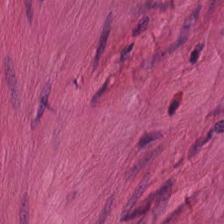0.5 µm/px. H&E-stained tissue section. Classification = muscularis.
